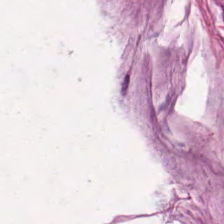Showing extracellular mucin.
